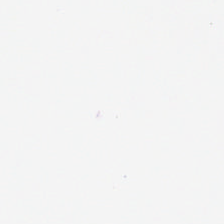{"content": "background"}
